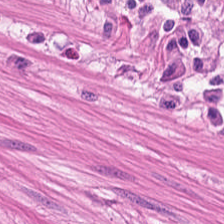Predominant tissue — smooth-muscle tissue.
